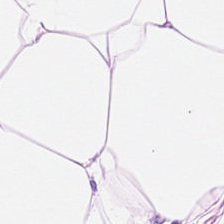Tissue class = adipocytes.
